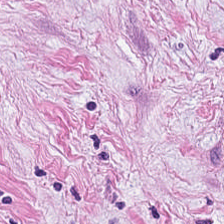0.5 µm/px · H&E-stained tissue section. Q: What is shown in this field?
A: It is desmoplastic stroma.
